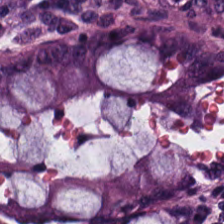Hematoxylin-and-eosin stained section.
The tissue here is normal colon mucosa.
